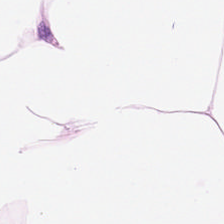H&E-stained tissue section showing adipocytes.
